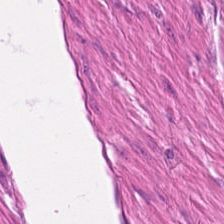H&E stain — Tissue class — smooth muscle.
